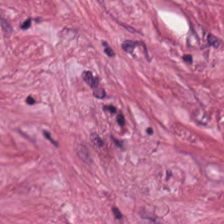FFPE. Whole-slide-image patch. Hematoxylin-and-eosin stained section.
Finding → desmoplastic stroma.
